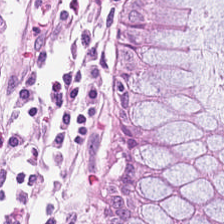H&E-stained tissue section. 20× equivalent magnification.
Tissue: normal colonic mucosa.
